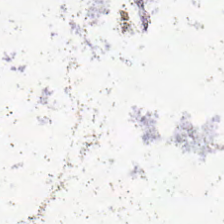Hematoxylin and eosin.
Background.
